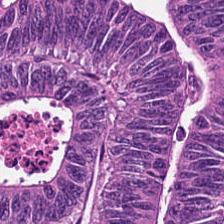224×224 px tile; H&E.
This patch shows tumor epithelium.
